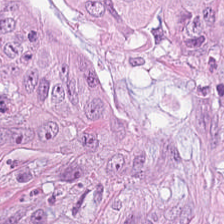WSI patch. H&E stain.
The tissue class is adenocarcinoma.
